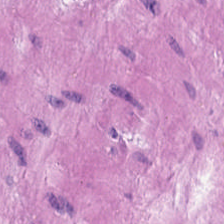Stain: H&E.
Tissue: smooth muscle.
